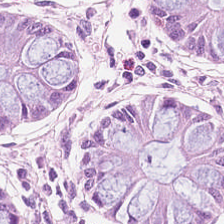0.5 microns per pixel · hematoxylin and eosin · brightfield microscopy — The tissue type is non-neoplastic colon mucosa.
